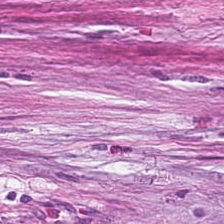Hematoxylin and eosin · 224×224 px tile.
The tissue is tumor-associated stroma.
